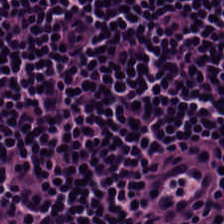H&E. Whole-slide-image patch. Predominant tissue — lymphocyte aggregate.
